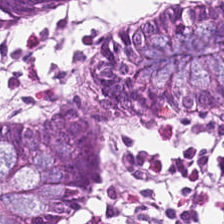Hematoxylin and eosin. 0.5 µm/px. 224×224 px tile. Q: What type of tissue is this?
A: Benign colonic mucosa.
